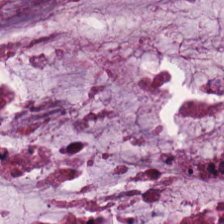H&E stain.
The classification is mucin.
